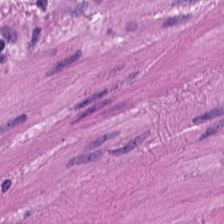H&E stain.
This patch shows smooth-muscle tissue.
